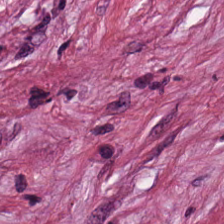Tissue class — tumor stroma.
